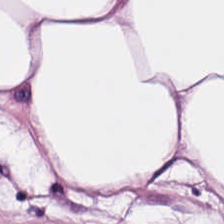FFPE tissue section. H&E stain.
This field is adipose.
